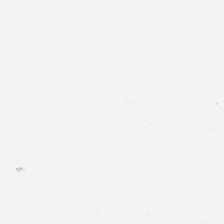Whole-slide-image patch. Hematoxylin and eosin — Background.
